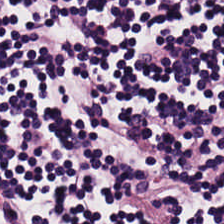Classification = lymphocytes.
